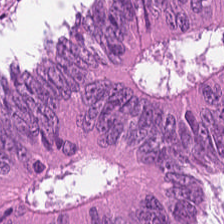H&E patch showing tumor epithelium.
